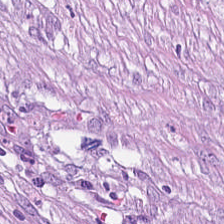224×224 px patch · H&E-stained tissue section.
Tumor-associated stroma.
